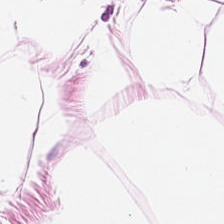Hematoxylin-and-eosin stained section. {"tissue_type": "adipocytes"}
